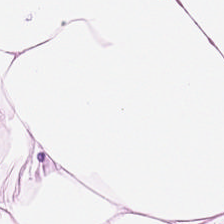Hematoxylin and eosin.
Predominant tissue — fat tissue.
